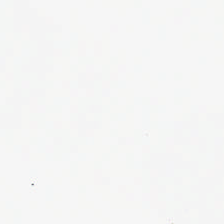224×224 px tile · hematoxylin and eosin — Field content — background.
